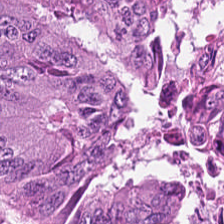H&E stain. Q: What type of tissue is this?
A: The field shows adenocarcinoma.
